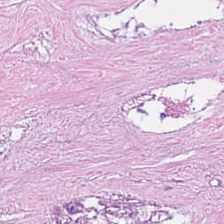H&E. Tissue class: necrotic debris.
